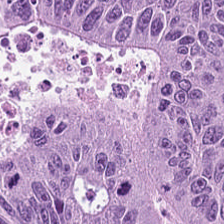This patch shows colorectal adenocarcinoma.
